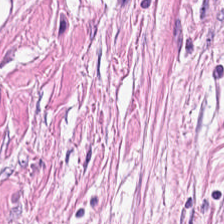H&E-stained tissue section. Formalin-fixed paraffin-embedded section. 224×224 px tile — Finding → tumor-associated stroma.
